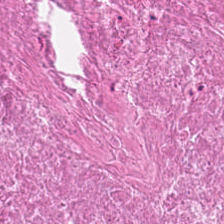FFPE tissue section; H&E-stained tissue section — Classification: cellular debris.
